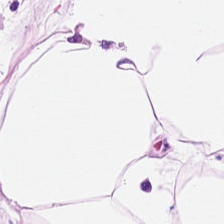H&E. This field is adipose tissue.
